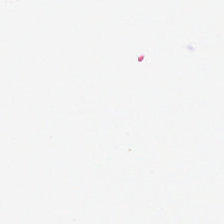Stain: H&E-stained tissue section.
Acquisition: WSI patch.
Field content: empty background.
